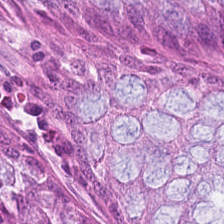H&E-stained tissue section — Predominantly benign colonic mucosa.
